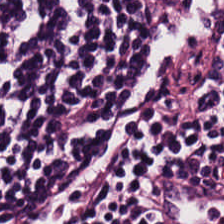FFPE tissue section. H&E. This patch shows lymphocytes.
